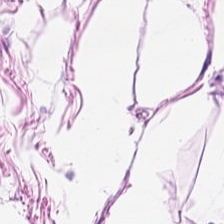H&E.
The tissue class is fat tissue.
